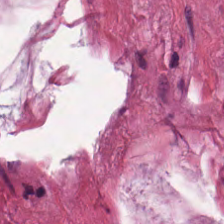Hematoxylin-and-eosin stained section — Predominantly extracellular mucin.
